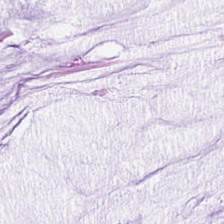H&E. The tissue here is mucus.
